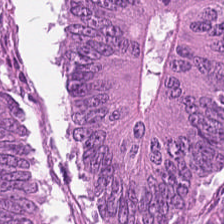Hematoxylin and eosin — This patch shows adenocarcinoma.
